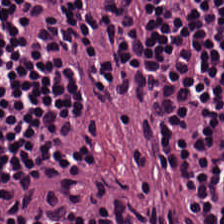H&E. 224×224 px patch. 0.5 µm/px. Predominant tissue = lymphocytes.
